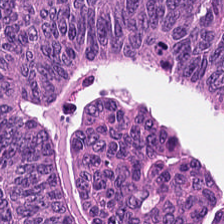{"tissue_type": "malignant epithelium"}
